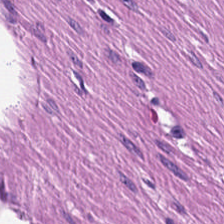Predominantly smooth-muscle tissue.
